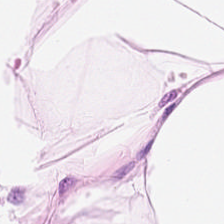0.5 microns per pixel. H&E stain. Showing adipocytes.
